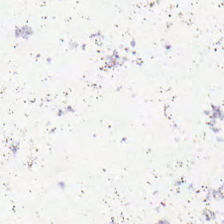Hematoxylin and eosin. Formalin-fixed paraffin-embedded section — Histology — background (no tissue).
